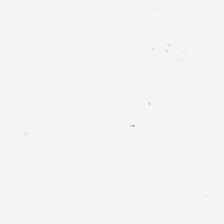H&E stain — Field content = background.
